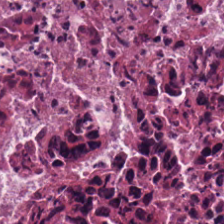FFPE. H&E-stained tissue section. Tissue type: necrotic debris.
